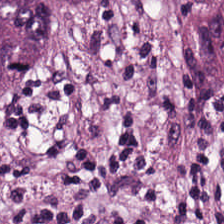H&E.
Finding — tumor-associated stroma.
